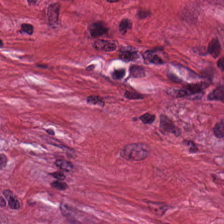Brightfield microscopy; H&E.
Tissue type — desmoplastic stroma.
